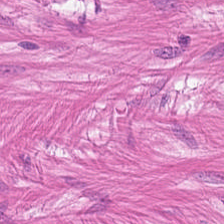224×224 px patch · brightfield · H&E-stained tissue section.
The predominant tissue is smooth muscle.
